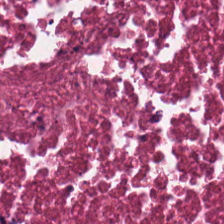Hematoxylin-and-eosin stained section.
Predominantly necrotic debris.
